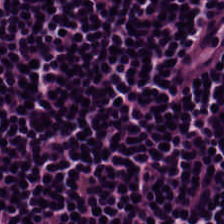H&E-stained tissue section. Whole-slide-image patch — Tissue = lymphoid infiltrate.
